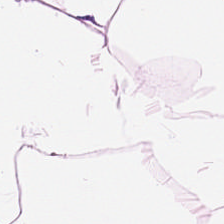H&E. This field is adipose tissue.
